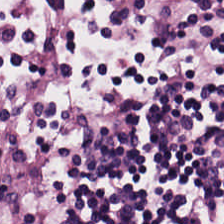Whole-slide-image patch. 0.5 microns per pixel. Hematoxylin and eosin.
The tissue here is lymphocytes.
